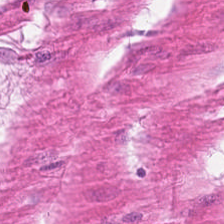H&E stain.
Showing smooth-muscle tissue.
